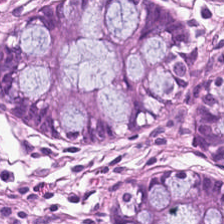Hematoxylin-and-eosin stained section. Brightfield. 0.5 microns per pixel. Tissue — normal colonic mucosa.
